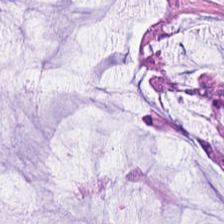H&E — Impression → mucin.
